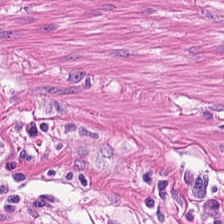Stain: H&E-stained tissue section.
Tile size: 224×224 px patch.
Tissue: smooth-muscle tissue.
